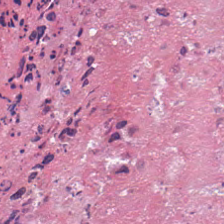H&E stain — Predominantly necrotic debris.
